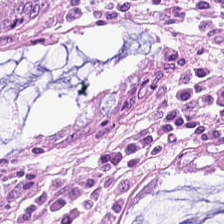H&E.
Finding → normal colon mucosa.
